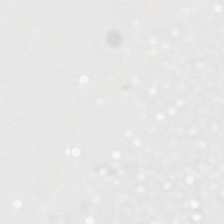Background.
